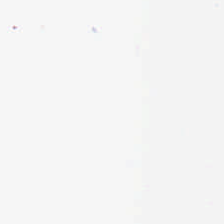This field is background (no tissue).
